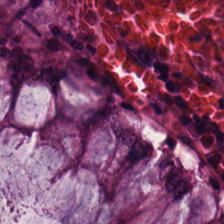H&E stain — Classification: benign colonic mucosa.
